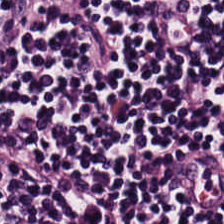H&E.
Tissue: lymphocytic infiltrate.
